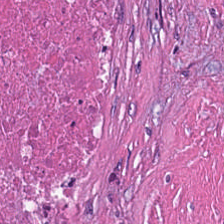H&E-stained tissue section — The predominant tissue is necrotic debris.
